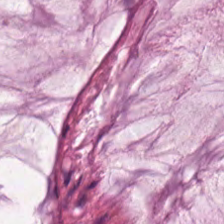224×224 px patch · H&E. Finding — mucus.
